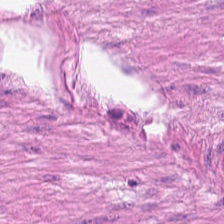Stain: hematoxylin-and-eosin stained section.
Tissue class: smooth muscle.
